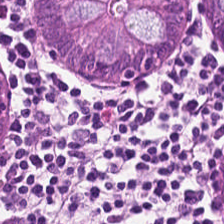H&E. The predominant tissue is normal colonic mucosa.
